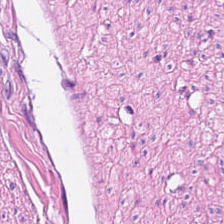Brightfield; hematoxylin and eosin.
Impression → smooth muscle.
